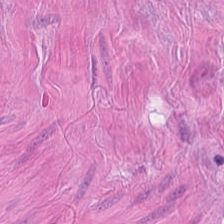Hematoxylin and eosin.
{"tissue_type": "muscularis"}
